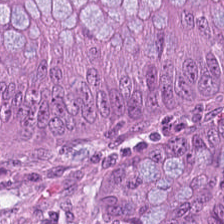Histology → colorectal adenocarcinoma epithelium.
